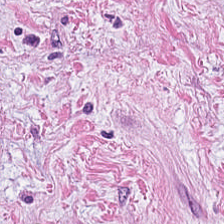FFPE tissue section; H&E stain; 224×224 px patch.
This field is tumor-associated stroma.
